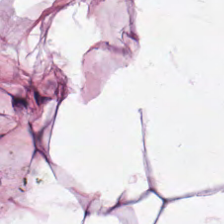H&E stain. Showing adipose.
